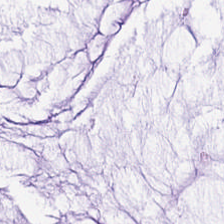Q: What is shown in this field?
A: It is extracellular mucin.
